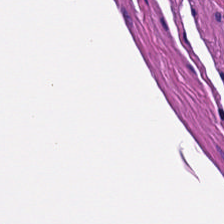H&E-stained tissue section — The predominant tissue is smooth muscle.
